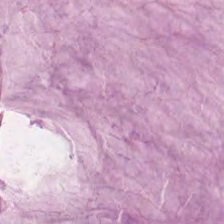H&E stain; 20× equivalent magnification.
Tissue class — extracellular mucin.
